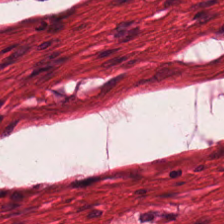224×224 px tile. H&E stain. Brightfield — Q: What tissue is shown?
A: Smooth-muscle tissue.
